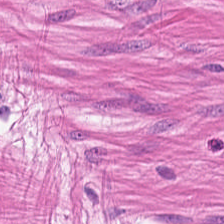H&E-stained tissue section.
Impression — muscularis.
